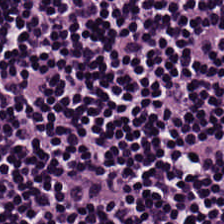Hematoxylin and eosin.
Lymphocyte aggregate.
